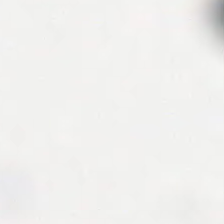Hematoxylin-and-eosin stained section. Field content = background.
